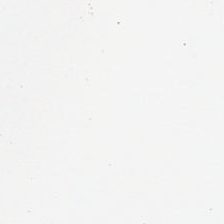Content: background.
